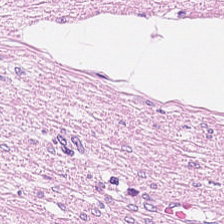Predominantly smooth muscle.
